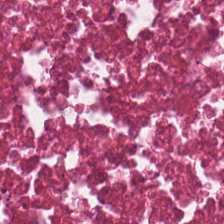Hematoxylin-and-eosin stained section. Classification — debris.
